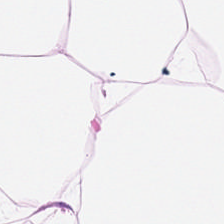Showing adipose tissue.
